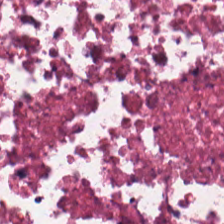Hematoxylin-and-eosin stained section.
The predominant tissue is necrotic debris.
